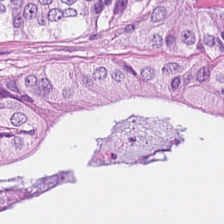Stain: H&E.
Preparation: formalin-fixed paraffin-embedded section.
Resolution: 0.5 µm/px.
Tissue type: colorectal adenocarcinoma epithelium.
